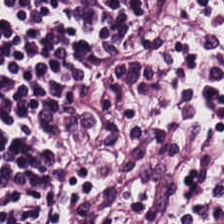224×224 pixel tile · hematoxylin and eosin — Tissue type — lymphocyte aggregate.
